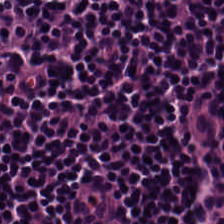H&E — Q: What type of tissue is this?
A: Lymphoid infiltrate.
